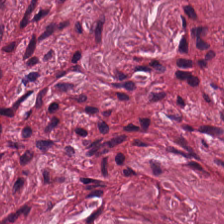The predominant tissue is tumor-associated stroma.
